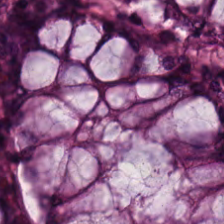Stain: hematoxylin-and-eosin stained section.
Tissue class: normal colon mucosa.
